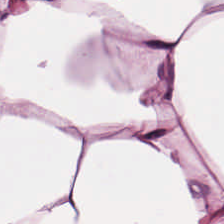{"tissue_type": "adipose"}
